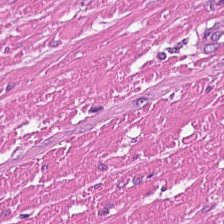224×224 px tile. Brightfield microscopy. H&E. The tissue here is smooth muscle.
